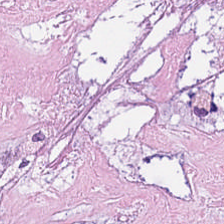H&E.
Predominantly necrotic debris.
